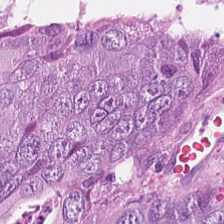224×224 px tile · H&E-stained tissue section — Impression → malignant epithelium.
